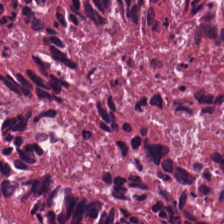H&E.
Q: What tissue type is shown here?
A: The field shows necrotic debris.
